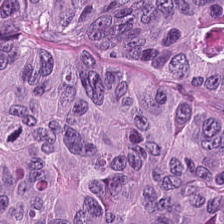Hematoxylin and eosin; 20× equivalent magnification.
Finding → malignant epithelium.
